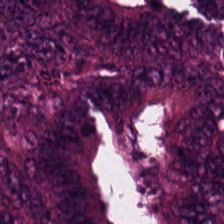Hematoxylin-and-eosin stained section — Adenocarcinoma.
